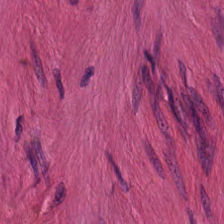Hematoxylin-and-eosin stained section; 224×224 px patch.
The predominant tissue is smooth-muscle tissue.
